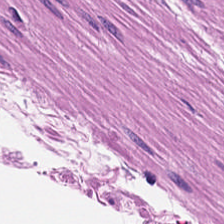Stain: H&E stain.
Classification: muscularis.
